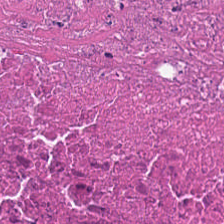Histology → cellular debris.
